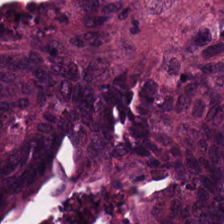H&E-stained tissue section showing colorectal adenocarcinoma epithelium.
